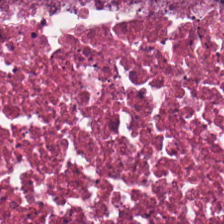Q: Identify the tissue.
A: Debris.
